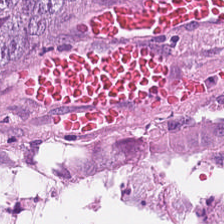0.5 microns per pixel · H&E — Q: What is shown here?
A: Colorectal adenocarcinoma.
